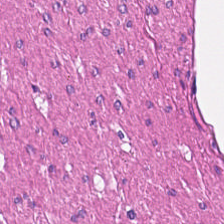Stain: H&E.
Preparation: FFPE.
Predominant tissue: muscularis.
